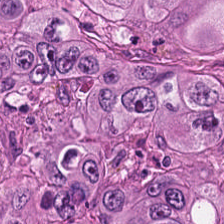H&E stain. 224×224 pixel tile. Whole-slide-image patch — Tissue type — malignant epithelium.
